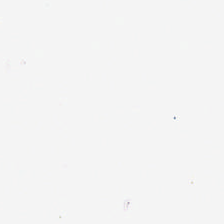Empty field — no tissue.
